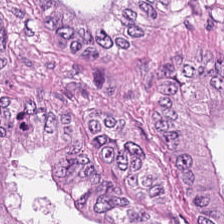H&E-stained tissue section; 0.5 µm per pixel. The tissue is colorectal adenocarcinoma.
